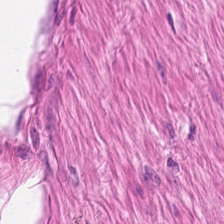This field is smooth-muscle tissue.
